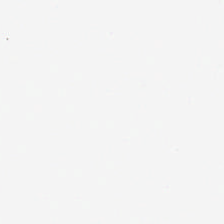Stain: H&E stain.
Field content: empty background.
